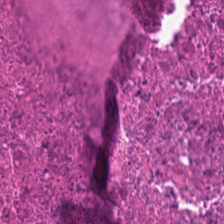{"tissue_type": "cellular debris"}
